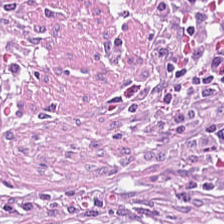H&E; whole-slide-image patch. Tissue — desmoplastic stroma.
